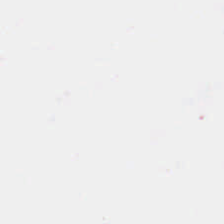H&E stain. 0.5 µm per pixel. No tissue present; background only.
